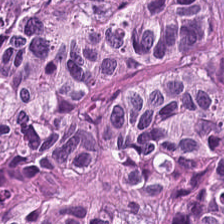H&E stain. {"tissue_type": "adenocarcinoma"}
